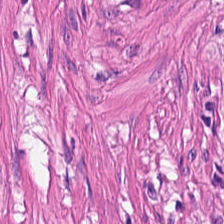Stain: hematoxylin-and-eosin stained section.
Tissue type: smooth muscle.
